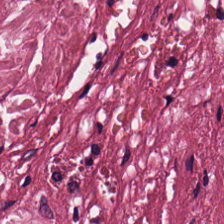{"tissue_type": "desmoplastic stroma"}
